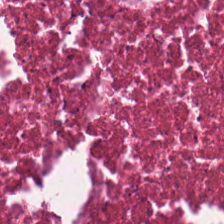Hematoxylin-and-eosin stained section; 224×224 pixel tile — Classification — cellular debris.
